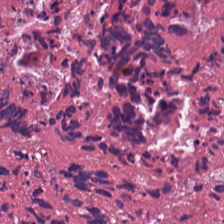Classification — debris.
